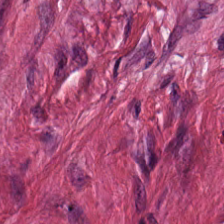Hematoxylin-and-eosin stained section. Q: What does this patch show?
A: The field shows desmoplastic stroma.
